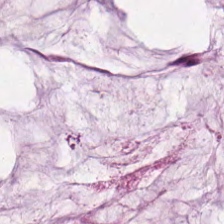Brightfield. Hematoxylin and eosin. 0.5 µm per pixel. Q: What type of tissue is this?
A: Extracellular mucin.
